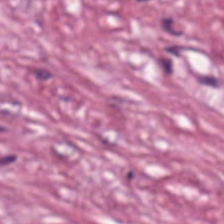FFPE · H&E stain — Classification: tumor stroma.
